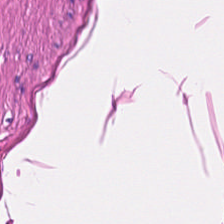FFPE · H&E-stained tissue section — Q: What tissue type is shown here?
A: This is smooth muscle.
